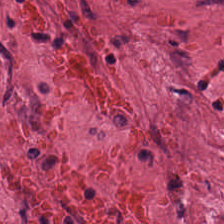Classification — desmoplastic stroma.
